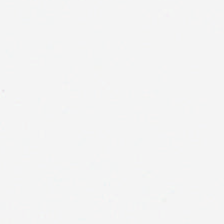The content is background (no tissue).
